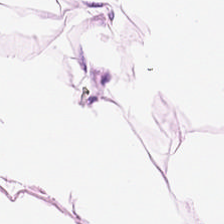224×224 pixel tile; brightfield microscopy; hematoxylin-and-eosin stained section. {"tissue_type": "fat tissue"}
